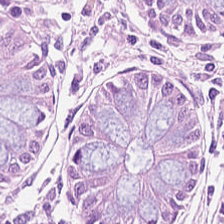H&E-stained tissue section.
The tissue here is normal colonic mucosa.
